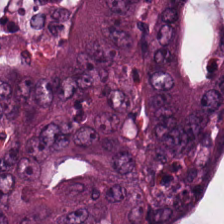The tissue class is malignant epithelium.
